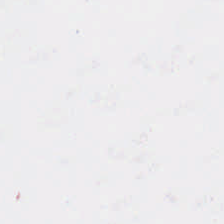This field is background (no tissue).
